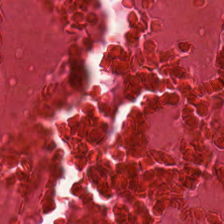H&E · 224×224 pixel tile — Cellular debris.
